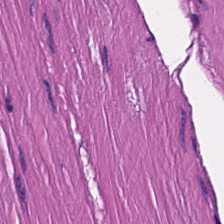H&E.
Showing smooth-muscle tissue.
